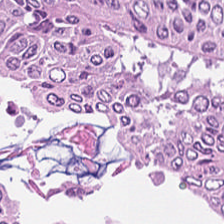H&E — colorectal adenocarcinoma epithelium.
